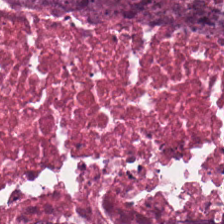Hematoxylin and eosin. FFPE — Predominantly cellular debris.
